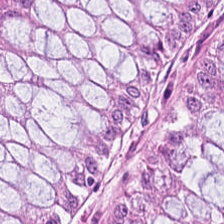Stain: H&E-stained tissue section.
Preparation: formalin-fixed paraffin-embedded section.
Tissue: normal colon mucosa.
